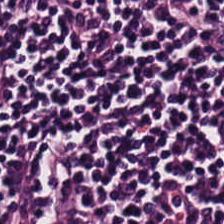224×224 pixel tile. H&E-stained tissue section.
Classification — lymphocytic infiltrate.
